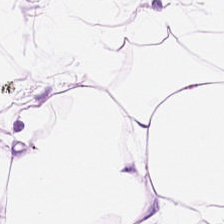20× equivalent magnification. H&E. This patch shows fat tissue.
